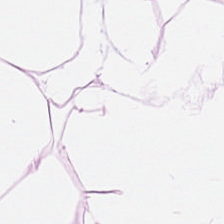Adipose tissue.
